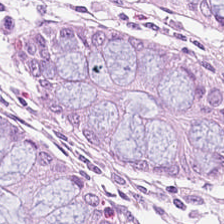Hematoxylin and eosin. Tissue class — normal colonic mucosa.
